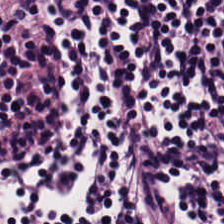Stain: hematoxylin and eosin.
Tissue type: lymphocyte aggregate.
